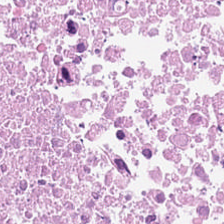H&E-stained tissue section.
Q: What does this patch show?
A: Necrotic debris.
